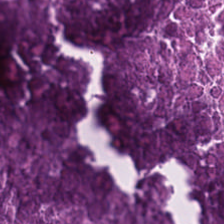H&E-stained tissue section — Q: What is shown in this field?
A: Necrotic debris.
